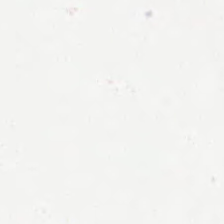H&E stain. Q: What does this patch show?
A: It is background.
